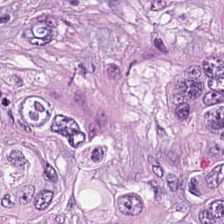H&E stain.
Classification: malignant epithelium.
